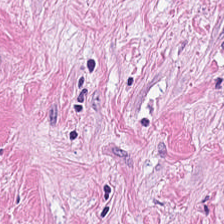0.5 µm per pixel. H&E.
Tissue class = desmoplastic stroma.
